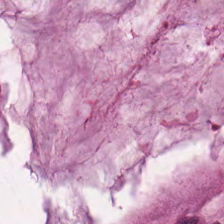The classification is mucus.
